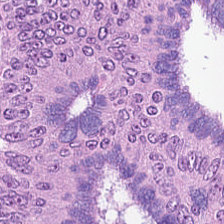H&E. Q: What tissue type is shown here?
A: The field shows tumor epithelium.
